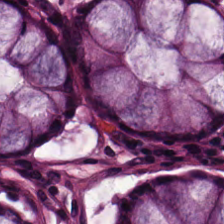WSI patch. Hematoxylin-and-eosin stained section — This patch shows benign colonic mucosa.
